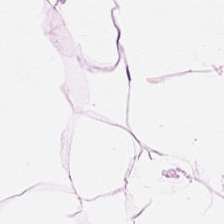Impression — adipose.
